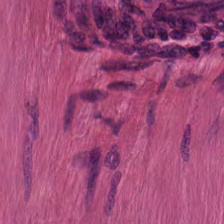Tissue — smooth muscle.
